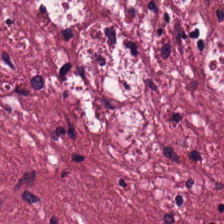The predominant tissue is desmoplastic stroma.
